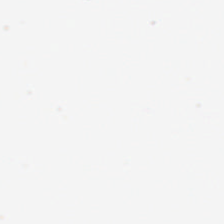Hematoxylin and eosin.
Classification = background.
